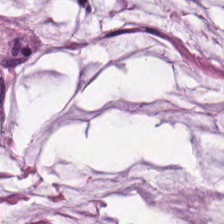Stain: hematoxylin and eosin.
Resolution: 0.5 microns per pixel.
Preparation: formalin-fixed paraffin-embedded section.
Tissue class: mucus.
